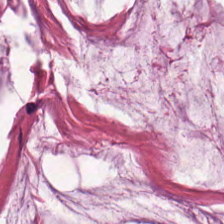224×224 px patch. FFPE. Hematoxylin-and-eosin stained section. Q: What is shown here?
A: The field shows mucus.
